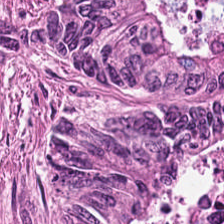Formalin-fixed paraffin-embedded section; hematoxylin and eosin.
{"tissue_type": "adenocarcinoma"}
